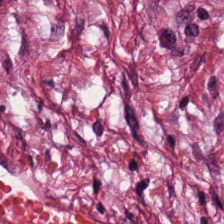Hematoxylin and eosin. Q: What tissue type is shown here?
A: This is tumor stroma.
